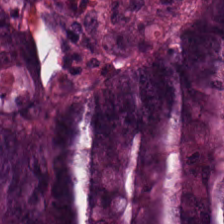H&E-stained tissue section; 0.5 microns per pixel; 224×224 pixel tile. The tissue type is colorectal adenocarcinoma epithelium.
